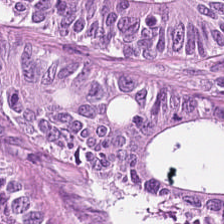0.5 µm per pixel. 224×224 px tile. Hematoxylin and eosin. Classification: malignant epithelium.
